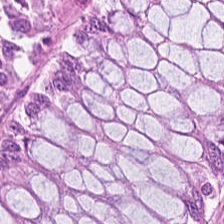Hematoxylin-and-eosin stained section. Q: What tissue type is shown here?
A: This is normal colon mucosa.
